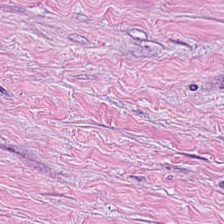H&E-stained tissue section · 20× equivalent magnification — Q: Classify this patch.
A: This is desmoplastic stroma.
